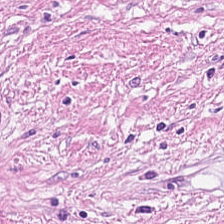224×224 pixel tile · hematoxylin-and-eosin stained section · FFPE. This patch shows desmoplastic stroma.
